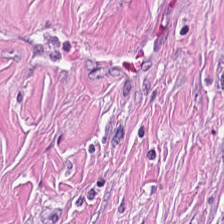Q: What tissue is shown?
A: Desmoplastic stroma.
